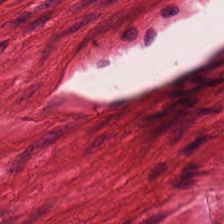Predominant tissue = smooth-muscle tissue.
